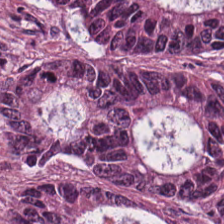Stain: H&E-stained tissue section.
Tile size: 224×224 px patch.
Tissue: malignant epithelium.
